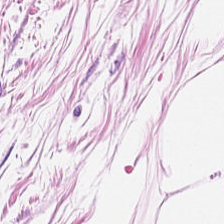{"tissue_type": "adipose tissue"}
